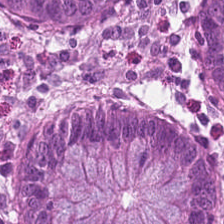Hematoxylin-and-eosin stained section.
The tissue is benign colonic mucosa.
